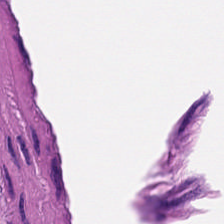Hematoxylin and eosin. Predominant tissue = muscularis.
